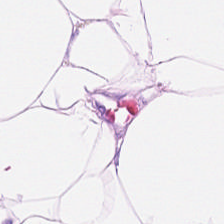Hematoxylin and eosin — Histology — adipose.
